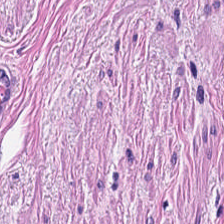H&E — smooth-muscle tissue.
